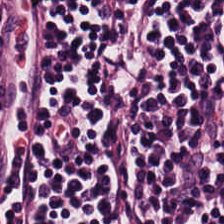Hematoxylin-and-eosin section: lymphoid infiltrate.
